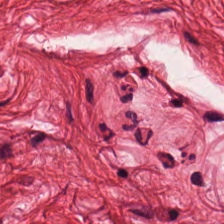Stain: H&E stain.
Classification: smooth-muscle tissue.
